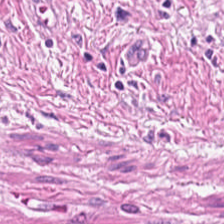FFPE tissue section; hematoxylin-and-eosin stained section. This field is smooth-muscle tissue.
